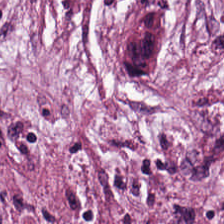Finding → tumor stroma.
